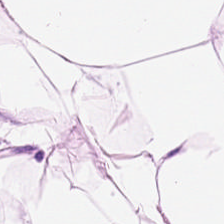Hematoxylin-and-eosin stained section.
Q: Identify the tissue.
A: It is fat tissue.
